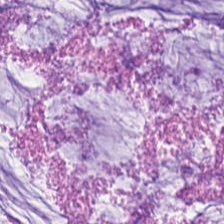The tissue here is extracellular mucin.
